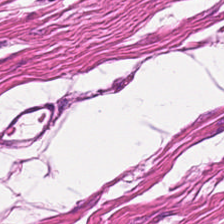H&E. 224×224 pixel tile — This patch shows smooth muscle.
